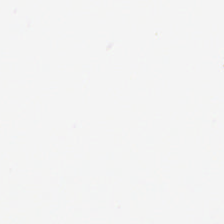224×224 px tile; formalin-fixed paraffin-embedded section; H&E stain — This field is background (no tissue).
